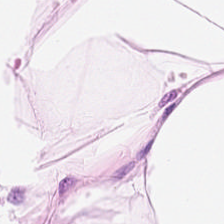The classification is fat tissue.
